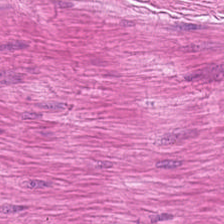H&E.
Q: What is shown in this field?
A: This is smooth muscle.
